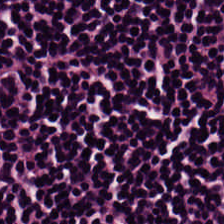224×224 px patch. H&E. WSI patch. This patch shows lymphocytic infiltrate.
